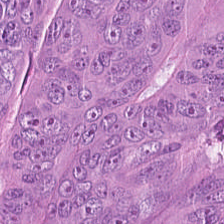H&E stain — Q: What tissue is shown?
A: It is adenocarcinoma.
